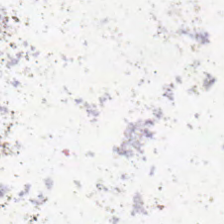Field content = background (no tissue).
